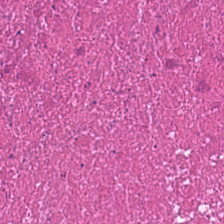224×224 px patch. Hematoxylin-and-eosin stained section. 0.5 microns per pixel — Q: Identify the tissue.
A: It is necrotic debris.
